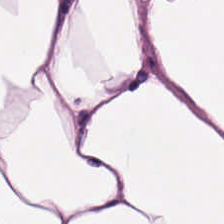Stain: hematoxylin and eosin.
Resolution: 0.5 µm/px.
Tile size: 224×224 pixel tile.
Tissue type: adipose tissue.
